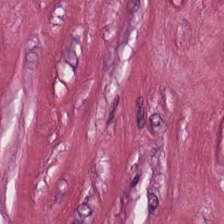Classification = tumor stroma.
